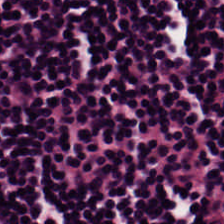H&E — lymphocyte aggregate.
